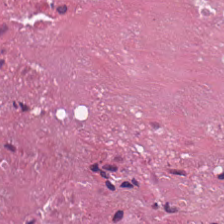H&E-stained tissue section.
Histology → necrotic debris.
